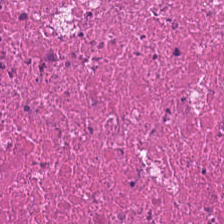H&E. Q: What tissue type is shown here?
A: It is debris.
